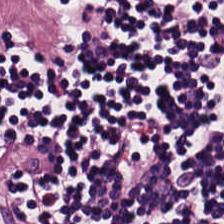Whole-slide-image patch · H&E.
Predominantly lymphocytic infiltrate.
